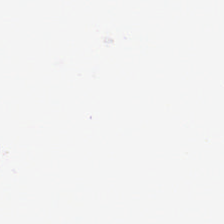Stain: H&E.
Field content: no tissue.
